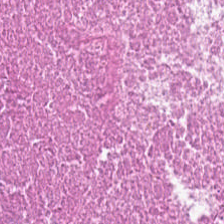20× equivalent magnification. Hematoxylin and eosin. {"tissue_type": "debris"}
